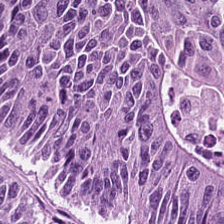Hematoxylin and eosin. The tissue here is colorectal adenocarcinoma.
